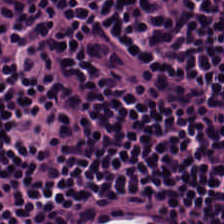H&E-stained tissue section.
Predominant tissue = lymphoid infiltrate.
